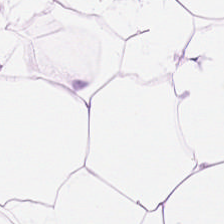0.5 µm/px · 224×224 pixel tile · hematoxylin and eosin — Q: What is the predominant tissue type?
A: This is adipose tissue.
